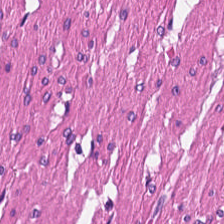WSI patch · H&E.
Q: What is the predominant tissue type?
A: Smooth-muscle tissue.
